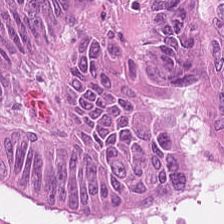H&E-stained tissue section. 0.5 microns per pixel. Predominantly colorectal adenocarcinoma epithelium.
